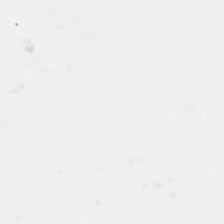Stain: H&E.
Classification: background (no tissue).
